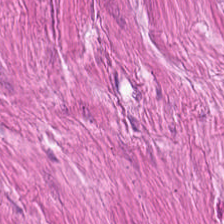Stain: H&E-stained tissue section.
Tissue type: smooth muscle.
